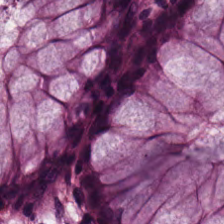H&E — The predominant tissue is normal colon mucosa.
